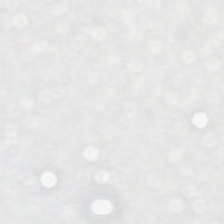Hematoxylin-and-eosin stained section.
Content — empty background.
